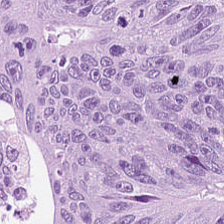Stain: hematoxylin and eosin.
Preparation: FFPE.
Tissue: adenocarcinoma.
